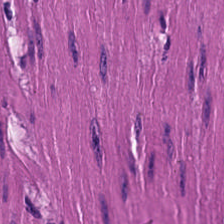Classification = smooth muscle.
